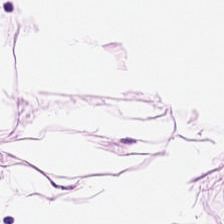H&E — The predominant tissue is adipose.
